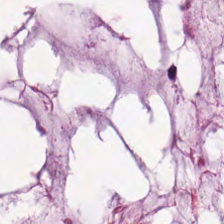Formalin-fixed paraffin-embedded section · hematoxylin and eosin — The predominant tissue is mucus.
